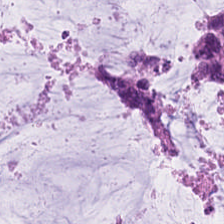H&E-stained tissue section.
Predominant tissue: mucin.
